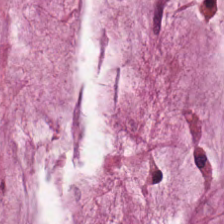Classification — mucus.
